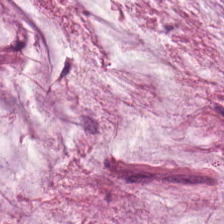H&E; 0.5 µm/px; brightfield.
This field is extracellular mucin.
